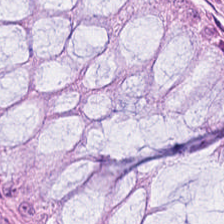Hematoxylin and eosin.
Q: What is shown in this field?
A: This is non-neoplastic colon mucosa.
